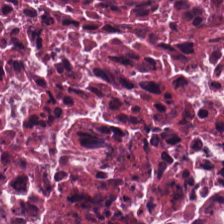Q: What is the predominant tissue type?
A: The field shows cellular debris.
